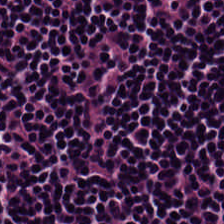20× equivalent magnification; H&E stain.
Impression → lymphoid infiltrate.
